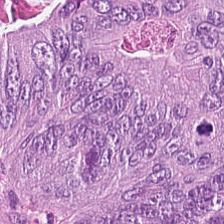{"tissue_type": "colorectal adenocarcinoma"}
